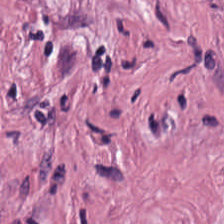The tissue here is tumor-associated stroma.
